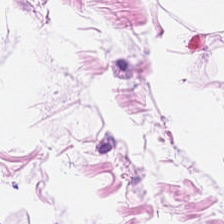Hematoxylin-and-eosin stained section · 0.5 microns per pixel. Finding — adipose.
